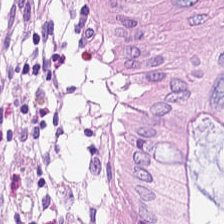224×224 pixel tile · H&E · formalin-fixed paraffin-embedded section. Showing normal colon mucosa.
